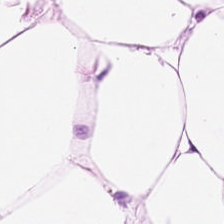Stain: H&E stain.
Tissue type: adipose tissue.
